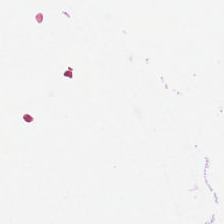Hematoxylin and eosin. This patch shows no tissue.
